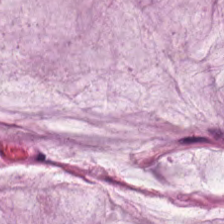0.5 µm per pixel · hematoxylin-and-eosin stained section · FFPE — The predominant tissue is mucus.
